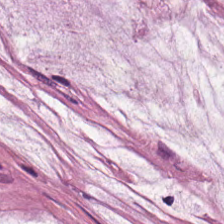20× equivalent magnification · H&E-stained tissue section.
Classification — mucus.
